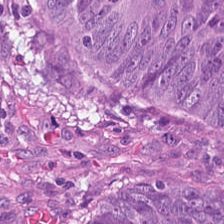The tissue here is colorectal adenocarcinoma epithelium.
